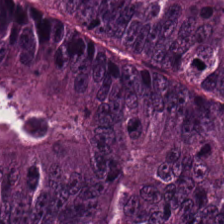Q: What is shown in this field?
A: It is colorectal adenocarcinoma epithelium.
